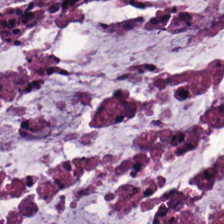0.5 microns per pixel; 224×224 pixel tile; H&E. Tissue class: extracellular mucin.
